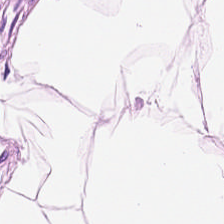Whole-slide-image patch; hematoxylin and eosin; FFPE.
Fat tissue.
